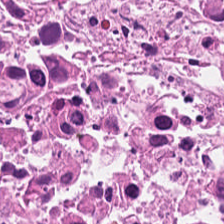Hematoxylin and eosin; formalin-fixed paraffin-embedded section.
Classification = cellular debris.
